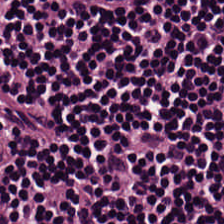H&E.
Tissue class: lymphocyte aggregate.
